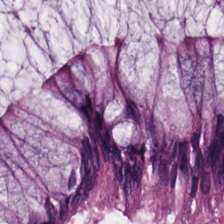Hematoxylin-and-eosin stained section — Predominant tissue — non-neoplastic colon mucosa.
